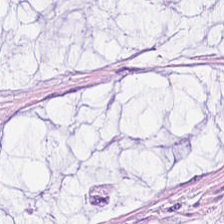The tissue is extracellular mucin.
